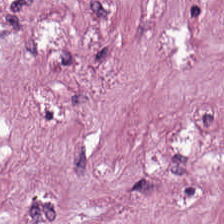The tissue class is tumor-associated stroma.
